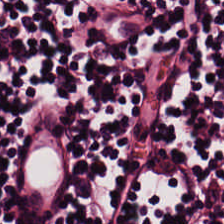FFPE tissue section. Hematoxylin-and-eosin stained section. 224×224 px tile — {"tissue_type": "lymphocytic infiltrate"}
